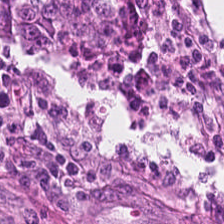Histology — tumor epithelium.
